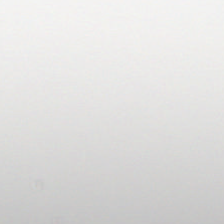Q: What does this patch show?
A: It is background.
